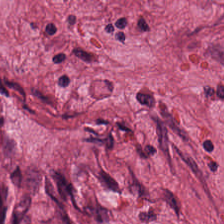FFPE tissue section. H&E stain. 0.5 microns per pixel — This patch shows cancer-associated stroma.
